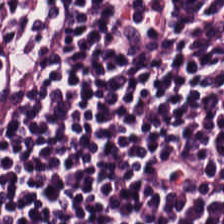H&E stain · 224×224 px tile — Q: What does this patch show?
A: This is lymphocyte aggregate.
